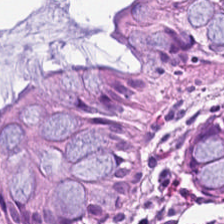H&E stain; FFPE tissue section.
Tissue = normal colonic mucosa.
